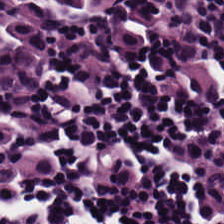Showing lymphoid infiltrate.
